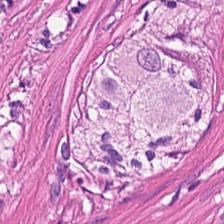FFPE · H&E-stained tissue section.
Q: What type of tissue is this?
A: Smooth-muscle tissue.
